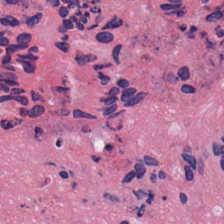H&E stain — {"tissue_type": "cellular debris"}
